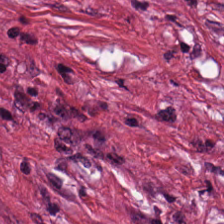Stain: H&E.
Preparation: FFPE.
Tissue class: cancer-associated stroma.
